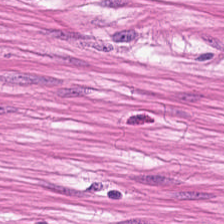Hematoxylin and eosin. Predominantly muscularis.
